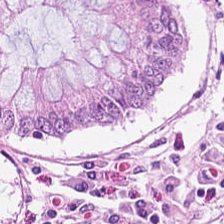Hematoxylin and eosin. Q: What tissue type is shown here?
A: Normal colonic mucosa.
